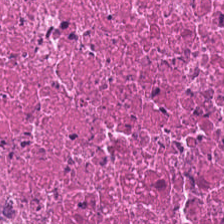0.5 µm/px · hematoxylin and eosin · whole-slide-image patch — Q: Classify this patch.
A: This is cellular debris.
